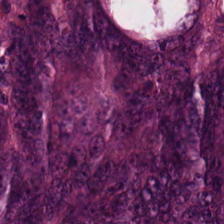H&E-stained tissue section — Showing adenocarcinoma.
